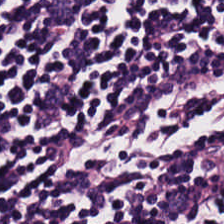H&E. 224×224 pixel tile.
Q: What is the predominant tissue type?
A: This is lymphoid infiltrate.
